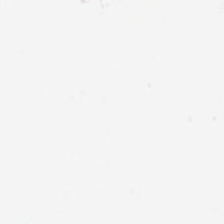H&E — Impression — background.
